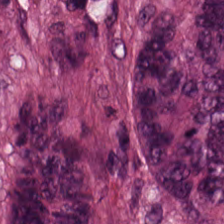0.5 µm/px · H&E-stained tissue section · 224×224 px patch — Q: What tissue is shown?
A: It is adenocarcinoma.
